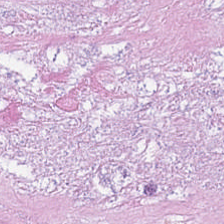H&E stain; formalin-fixed paraffin-embedded section. The tissue is cellular debris.
